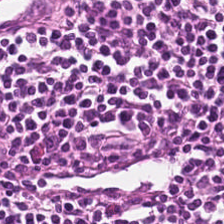H&E-stained tissue section showing lymphocytic infiltrate.
